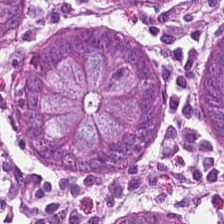FFPE tissue section · 0.5 microns per pixel · H&E stain.
Q: What does this patch show?
A: It is normal colon mucosa.
